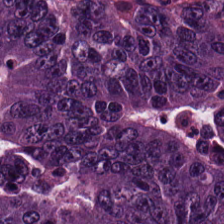Colorectal adenocarcinoma.
